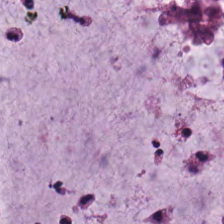H&E. Predominantly extracellular mucin.
